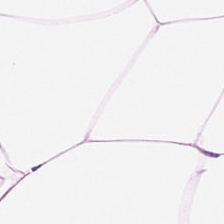Hematoxylin-and-eosin stained section · 0.5 µm/px.
This field is fat tissue.
